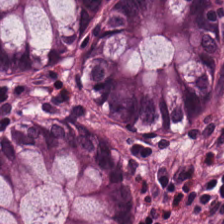H&E · FFPE — Predominant tissue — benign colonic mucosa.
